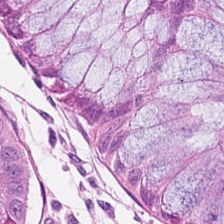Q: Classify this patch.
A: Normal colonic mucosa.
